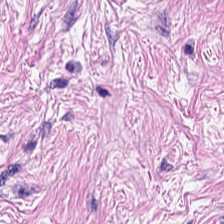H&E-stained section; the field shows tumor stroma.
